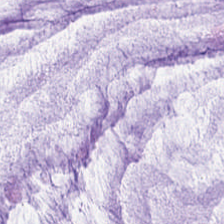Tissue: mucin.
